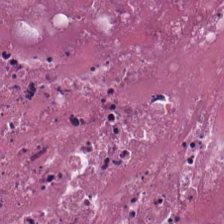H&E · brightfield.
Tissue type — necrotic debris.
